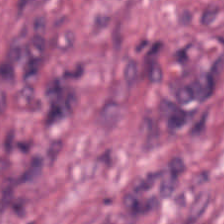H&E stain.
Tissue: tumor-associated stroma.
